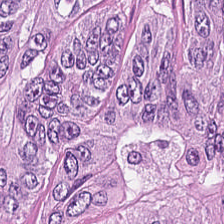H&E-stained tissue section; FFPE. This patch shows colorectal adenocarcinoma epithelium.
